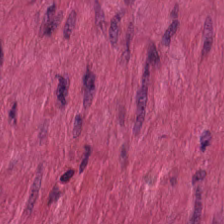The tissue here is smooth muscle.
